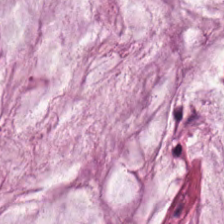H&E-stained tissue section. FFPE — Predominantly extracellular mucin.
